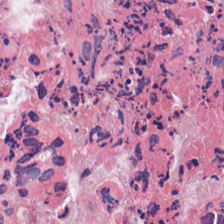Hematoxylin and eosin. 224×224 pixel tile.
{"tissue_type": "necrotic debris"}
